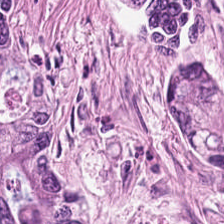H&E-stained tissue section · brightfield microscopy — Tissue type — colorectal adenocarcinoma.
